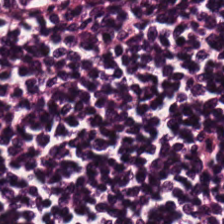Hematoxylin-and-eosin stained section — {"tissue_type": "lymphoid infiltrate"}
